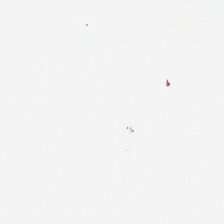Background — no tissue in this field.
